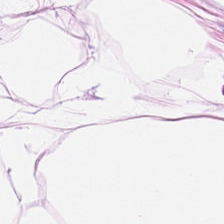20× equivalent magnification; hematoxylin-and-eosin stained section. This field is adipocytes.
